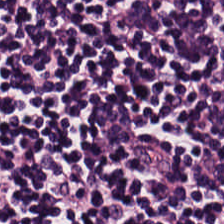224×224 px tile · FFPE · H&E-stained tissue section.
This field is lymphocyte aggregate.
